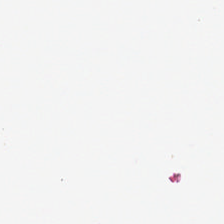Hematoxylin-and-eosin stained section. Q: Classify this patch.
A: This is empty background.
